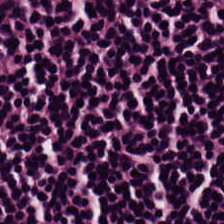{"tissue_type": "lymphocytic infiltrate"}
